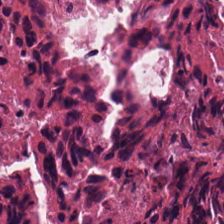Q: What tissue is shown?
A: It is cellular debris.
